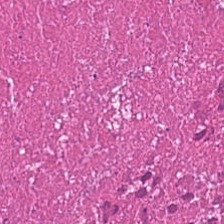This field is necrotic debris.
